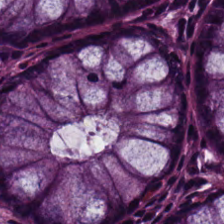224×224 px patch; H&E. This field is benign colonic mucosa.
